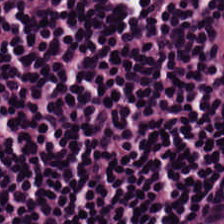224×224 px patch. Hematoxylin-and-eosin stained section — {"tissue_type": "lymphocytic infiltrate"}
